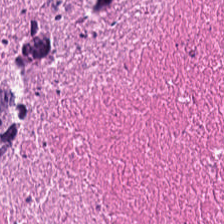Hematoxylin and eosin — Predominantly debris.
